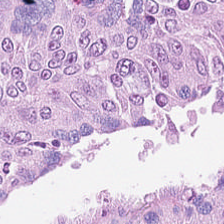H&E. Finding — tumor epithelium.
